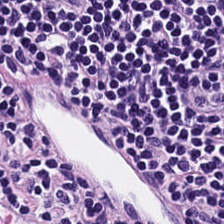Formalin-fixed paraffin-embedded section. H&E-stained tissue section. 224×224 px tile.
Finding — lymphoid infiltrate.
